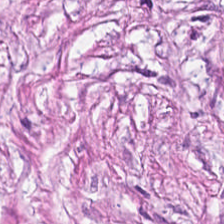Q: What tissue type is shown here?
A: This is desmoplastic stroma.
